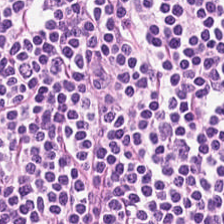Tissue type — lymphocyte aggregate.
